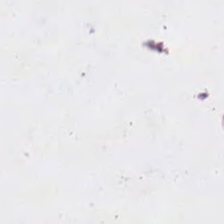H&E stain. Classification: background.
